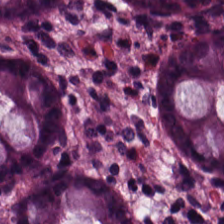Hematoxylin-and-eosin stained section — Q: Identify the tissue.
A: It is non-neoplastic colon mucosa.
